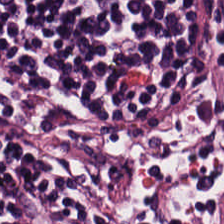Hematoxylin and eosin; FFPE tissue section — This patch shows lymphocytic infiltrate.
